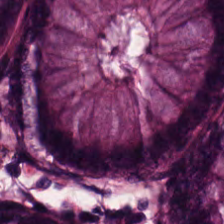20× equivalent magnification; FFPE tissue section; hematoxylin and eosin — Q: Identify the tissue.
A: The field shows normal colon mucosa.
